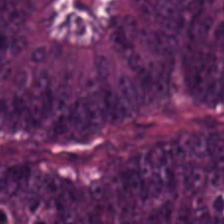Stain: H&E.
Preparation: FFPE.
Tissue class: colorectal adenocarcinoma epithelium.
